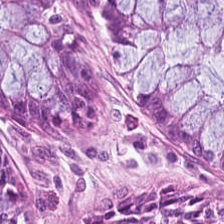Stain: H&E-stained tissue section.
Tissue: normal colon mucosa.
